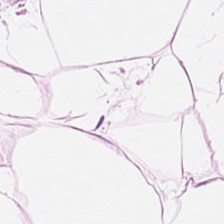Showing adipose.
